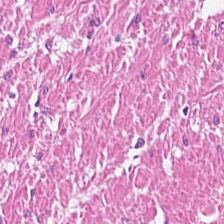Hematoxylin and eosin. FFPE. Tissue — muscularis.
